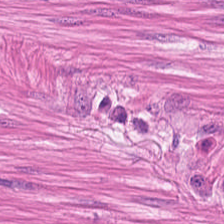Hematoxylin-and-eosin stained section.
Showing smooth-muscle tissue.
